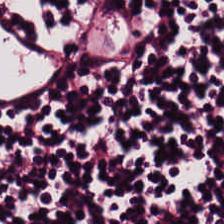Stain: H&E-stained tissue section.
Tissue class: lymphocyte aggregate.
